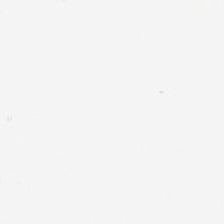Hematoxylin and eosin. Empty field — background.
